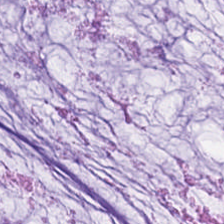224×224 pixel tile. Hematoxylin and eosin.
The predominant tissue is mucin.
